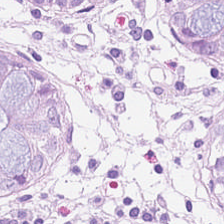Stain: hematoxylin and eosin.
Acquisition: whole-slide-image patch.
Predominant tissue: benign colonic mucosa.
